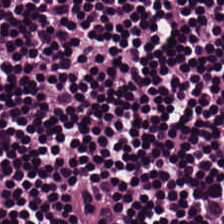H&E-stained tissue section. FFPE tissue section — Q: What is shown in this field?
A: This is lymphocytic infiltrate.
